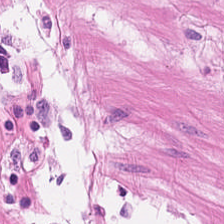Hematoxylin-and-eosin stained section — This field is smooth muscle.
